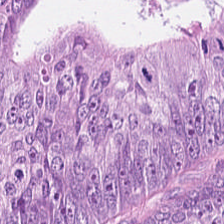Whole-slide-image patch; hematoxylin and eosin; 224×224 px patch — Predominantly colorectal adenocarcinoma epithelium.
